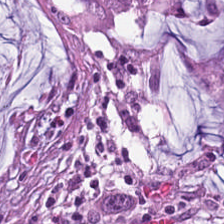224×224 px patch. Hematoxylin-and-eosin stained section — Classification: extracellular mucin.
